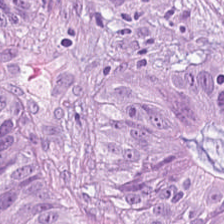Tissue class: colorectal adenocarcinoma epithelium.
